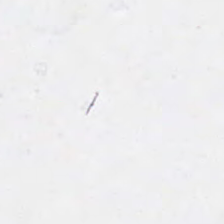Hematoxylin-and-eosin stained section. This patch shows background (no tissue).
